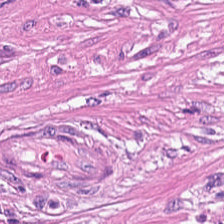Finding — smooth-muscle tissue.
